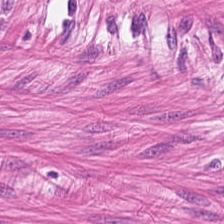Smooth-muscle tissue.
